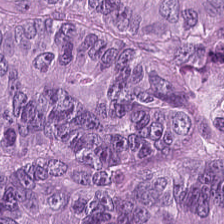Hematoxylin and eosin; 0.5 µm per pixel.
Q: What is shown in this field?
A: It is colorectal adenocarcinoma.
